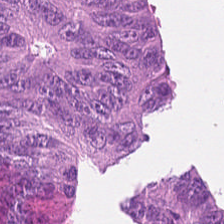{"tissue_type": "colorectal adenocarcinoma epithelium"}
